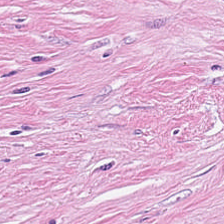H&E · 224×224 px tile · formalin-fixed paraffin-embedded section — {"tissue_type": "tumor stroma"}
